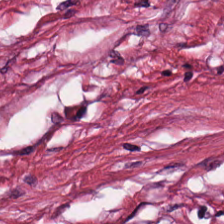Hematoxylin and eosin.
Predominantly cancer-associated stroma.
